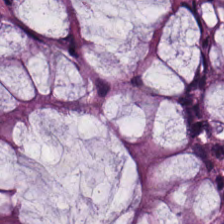H&E stain. Normal colonic mucosa.
